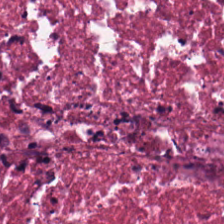Hematoxylin-and-eosin stained section. The tissue is necrotic debris.
